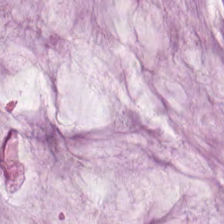Hematoxylin and eosin — Histology — mucin.
